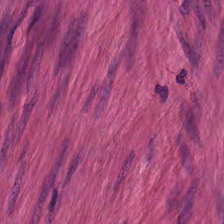0.5 µm per pixel; hematoxylin and eosin — Finding → muscularis.
